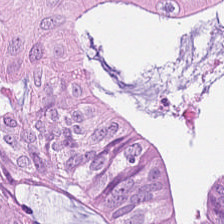H&E stain — Q: What tissue is shown?
A: Colorectal adenocarcinoma.
